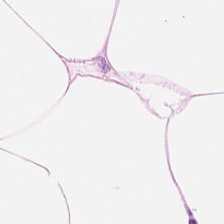Hematoxylin-and-eosin stained section.
Classification = adipose tissue.
